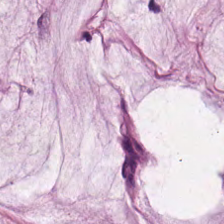224×224 px tile · hematoxylin-and-eosin stained section.
Finding → mucus.
